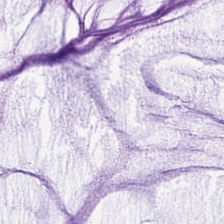{"tissue_type": "mucin"}
